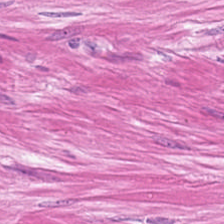Hematoxylin and eosin.
Tissue — smooth muscle.
